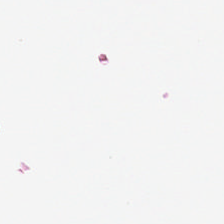0.5 µm/px · whole-slide-image patch · H&E-stained tissue section.
Background — no tissue in this field.
